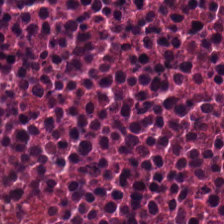H&E · brightfield. This patch shows cellular debris.
